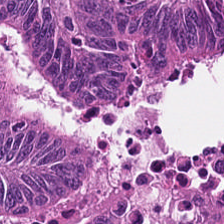Formalin-fixed paraffin-embedded section · H&E stain.
Impression → colorectal adenocarcinoma.
